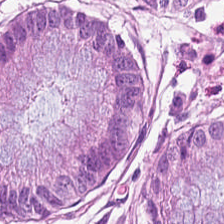The predominant tissue is normal colon mucosa.
